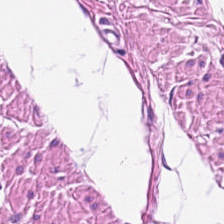H&E — The tissue here is smooth muscle.
